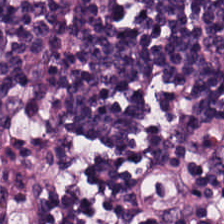0.5 µm/px. Brightfield microscopy. H&E stain.
Q: What is the predominant tissue type?
A: It is lymphocytic infiltrate.
